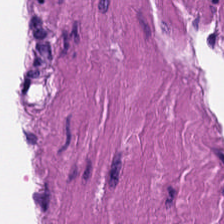Hematoxylin and eosin.
This patch shows smooth-muscle tissue.
